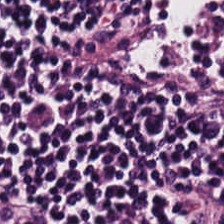H&E stain; FFPE tissue section; 224×224 pixel tile. Predominant tissue: lymphocytes.
